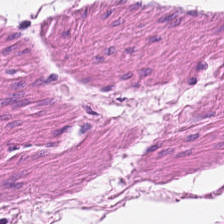Hematoxylin and eosin.
Histology → muscularis.
